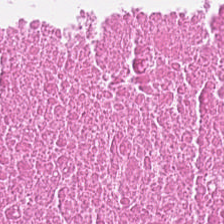H&E-stained tissue section. 20× equivalent magnification.
Necrotic debris.
